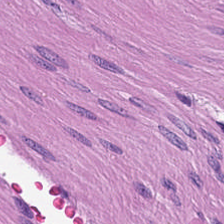H&E.
Predominantly muscularis.
